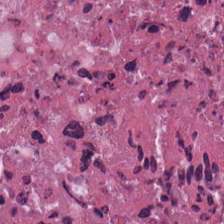H&E-stained tissue section showing debris.
